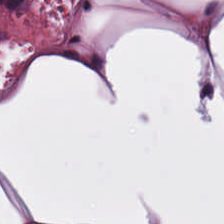FFPE tissue section · hematoxylin-and-eosin stained section · brightfield. {"tissue_type": "adipose"}
